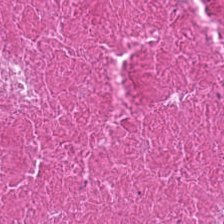H&E-stained tissue section; 0.5 µm/px. {"tissue_type": "cellular debris"}
